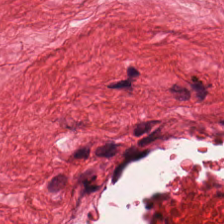The tissue is smooth muscle.
